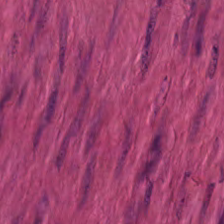H&E-stained tissue section showing muscularis.
